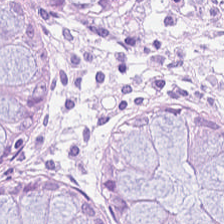H&E stain. FFPE. Q: What is shown here?
A: This is normal colon mucosa.
